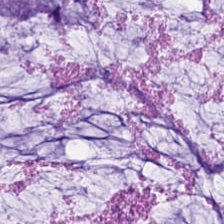H&E stain; brightfield; formalin-fixed paraffin-embedded section — Predominantly mucin.
